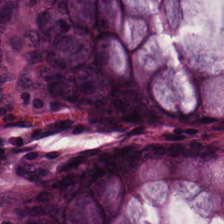{"tissue_type": "normal colonic mucosa"}
